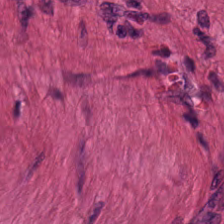H&E. {"tissue_type": "muscularis"}
